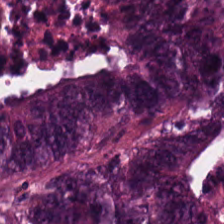Tissue: colorectal adenocarcinoma epithelium.
